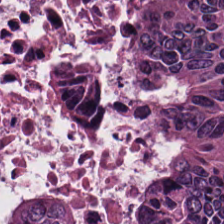Stain: H&E-stained tissue section.
Predominant tissue: tumor epithelium.
